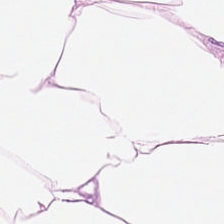0.5 microns per pixel · H&E.
This patch shows fat tissue.
